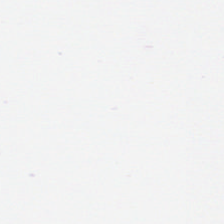Field content = background.
